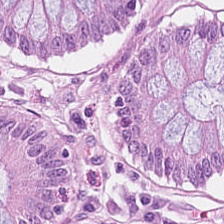The tissue type is normal colon mucosa.
